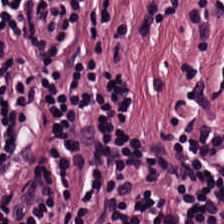Whole-slide-image patch; H&E-stained tissue section — Lymphocyte aggregate.
